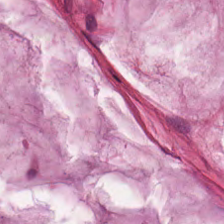Hematoxylin-and-eosin stained section. This field is mucus.
